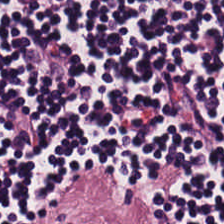H&E-stained tissue section — Finding → lymphoid infiltrate.
